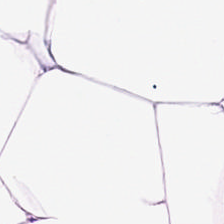Q: What is the predominant tissue type?
A: The field shows adipose tissue.
